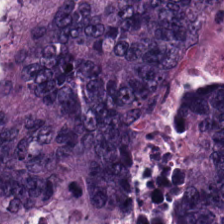WSI patch. H&E stain. The tissue type is colorectal adenocarcinoma epithelium.
